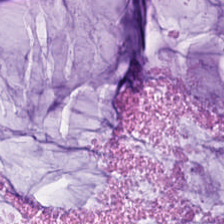H&E. Q: What tissue is shown?
A: This is mucus.
